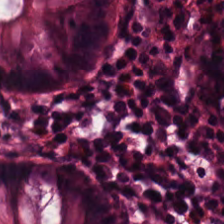The predominant tissue is normal colonic mucosa.
